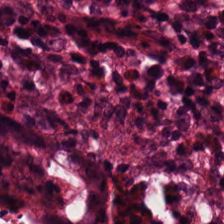FFPE; H&E stain. Q: What tissue type is shown here?
A: It is non-neoplastic colon mucosa.
